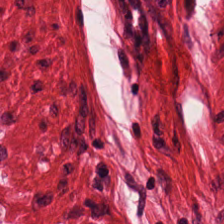Stain: hematoxylin and eosin.
Predominant tissue: smooth-muscle tissue.
